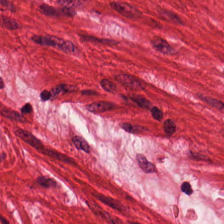Hematoxylin-and-eosin stained section · FFPE tissue section — Predominantly muscularis.
